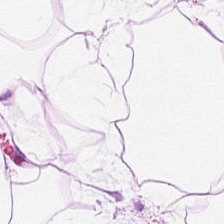H&E. Impression — adipose.
